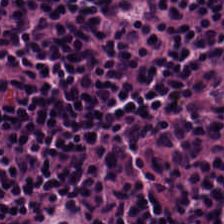Stain: hematoxylin and eosin.
Predominant tissue: lymphoid infiltrate.
